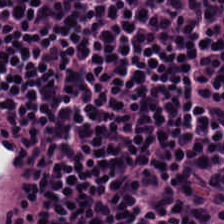224×224 px tile; H&E. Predominantly lymphocytes.
